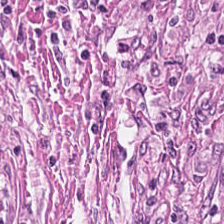H&E-stained tissue section; 0.5 µm per pixel. Desmoplastic stroma.
